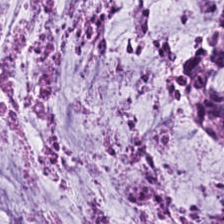20× equivalent magnification. H&E-stained tissue section — Tissue class — mucin.
